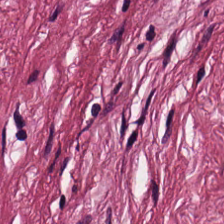H&E-stained tissue section. This patch shows cancer-associated stroma.
